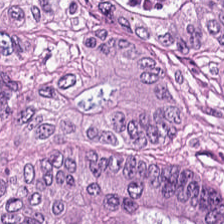Tissue class: tumor epithelium.
